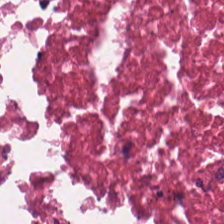H&E stain.
Impression — cellular debris.
